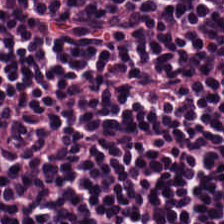Hematoxylin and eosin · whole-slide-image patch · 0.5 microns per pixel. Showing lymphocyte aggregate.
